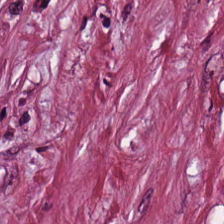Stain: hematoxylin and eosin.
Predominant tissue: desmoplastic stroma.
